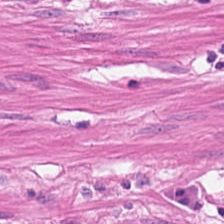H&E-stained tissue section — Q: What is shown here?
A: This is smooth muscle.
